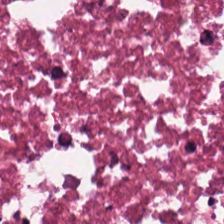Hematoxylin and eosin · FFPE. Histology → cellular debris.
